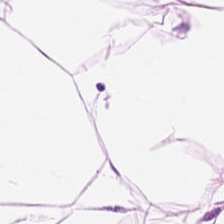224×224 px patch · H&E · 0.5 microns per pixel.
Q: Identify the tissue.
A: The field shows adipocytes.
